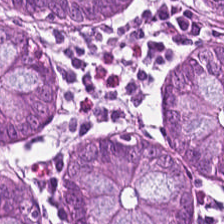H&E stain. FFPE tissue section.
The predominant tissue is normal colonic mucosa.
